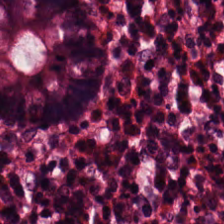FFPE tissue section · H&E stain — This patch shows normal colon mucosa.
